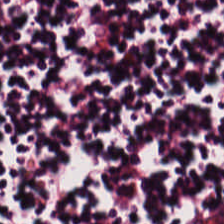224×224 pixel tile. Formalin-fixed paraffin-embedded section. H&E stain.
{"tissue_type": "lymphoid infiltrate"}
